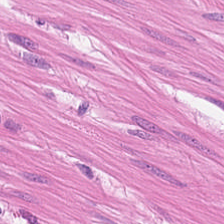Hematoxylin and eosin · 0.5 µm per pixel — The tissue type is smooth-muscle tissue.
